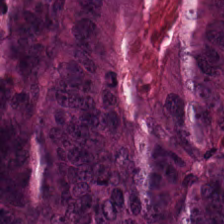H&E. Predominantly colorectal adenocarcinoma epithelium.
